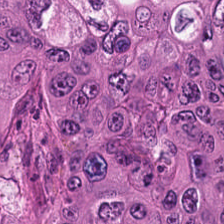Hematoxylin-and-eosin stained section — Q: What is shown in this field?
A: It is adenocarcinoma.
